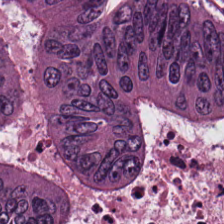Hematoxylin and eosin. Q: What is shown here?
A: This is tumor epithelium.
